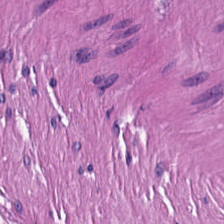Stain: hematoxylin and eosin.
Tissue type: smooth-muscle tissue.
